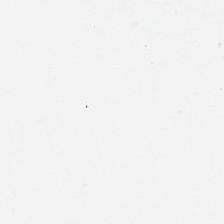H&E-stained tissue section; WSI patch — Field content — no tissue.
